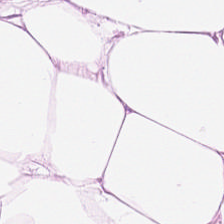H&E stain.
This field is adipose.
